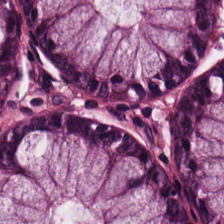Stain: H&E stain.
Tissue: normal colon mucosa.
